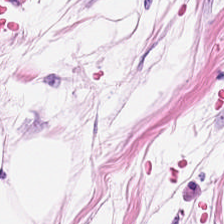Brightfield · H&E. Q: Classify this patch.
A: This is adipocytes.
